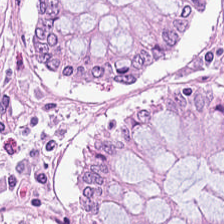Tissue: non-neoplastic colon mucosa.
